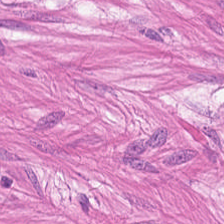H&E. Q: What is the predominant tissue type?
A: This is smooth muscle.
